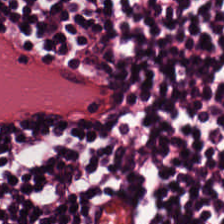This field is lymphocytic infiltrate.
